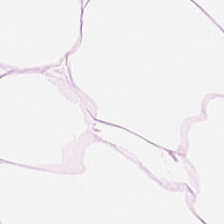FFPE. H&E-stained tissue section — This patch shows adipose.
